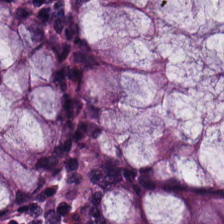Formalin-fixed paraffin-embedded section · hematoxylin-and-eosin stained section · 0.5 microns per pixel — Q: What does this patch show?
A: Normal colonic mucosa.
